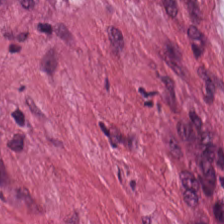Hematoxylin and eosin. Tissue class: tumor stroma.
